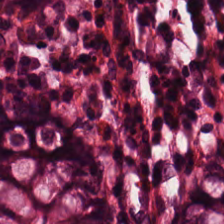H&E stain.
Normal colon mucosa.
